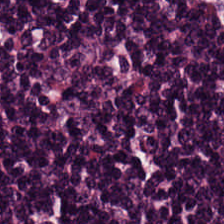Hematoxylin-and-eosin stained section; brightfield microscopy. The tissue here is lymphocytes.
